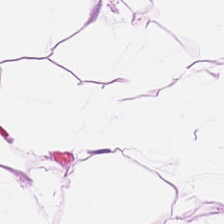Hematoxylin and eosin; FFPE; 224×224 px patch. The predominant tissue is adipose.
